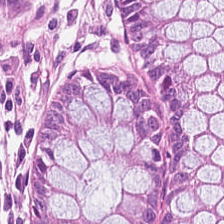H&E-stained tissue section · FFPE tissue section — Q: What is the predominant tissue type?
A: It is normal colon mucosa.
